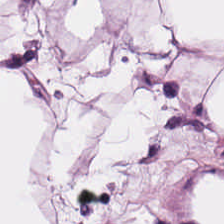FFPE tissue section; H&E-stained tissue section — The classification is adipose tissue.
